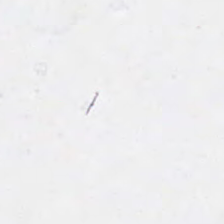H&E — This patch shows background (no tissue).
